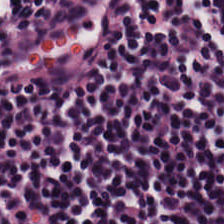Hematoxylin-and-eosin stained section; whole-slide-image patch — The tissue here is lymphocytes.
